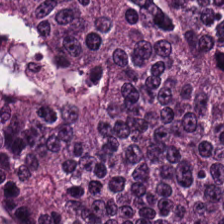Brightfield · H&E-stained tissue section — Predominantly malignant epithelium.
